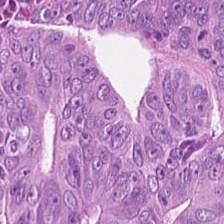Stain: H&E.
Resolution: 0.5 microns per pixel.
Tissue: malignant epithelium.
